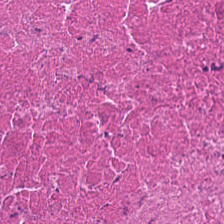Stain: H&E-stained tissue section.
Predominant tissue: cellular debris.
